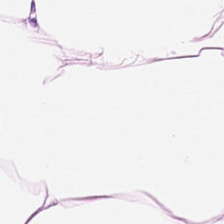FFPE. Hematoxylin and eosin — The tissue type is adipose.
